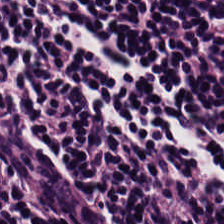H&E-stained tissue section · 20× equivalent magnification — Classification = lymphocytes.
